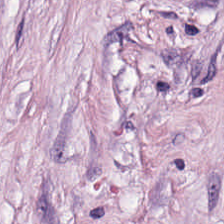Finding — cancer-associated stroma.
